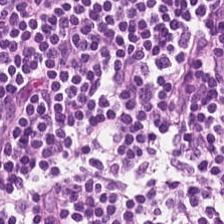H&E-stained tissue section — Showing lymphocytes.
